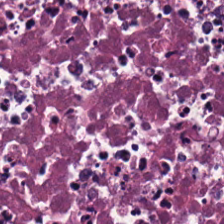H&E. Cellular debris.
